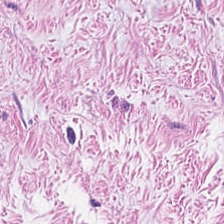Hematoxylin and eosin.
Classification = smooth muscle.
